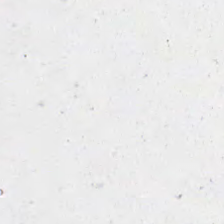Brightfield; H&E stain. Q: What does this patch show?
A: It is background (no tissue).
